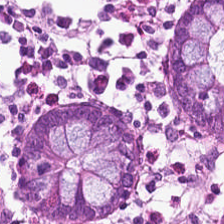Hematoxylin-and-eosin section: normal colon mucosa.
